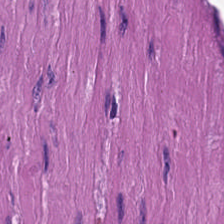Hematoxylin-and-eosin stained section. Tissue class = smooth muscle.
